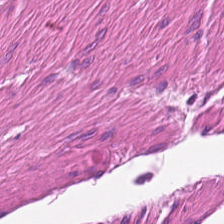H&E. 224×224 pixel tile.
This patch shows smooth-muscle tissue.
